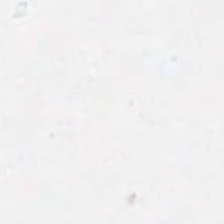Empty field — background.
